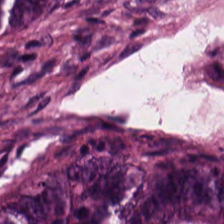H&E stain.
Q: Classify this patch.
A: Colorectal adenocarcinoma.
